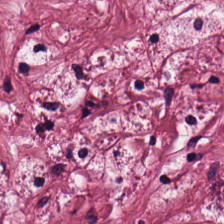FFPE · H&E. Q: Identify the tissue.
A: This is cancer-associated stroma.
